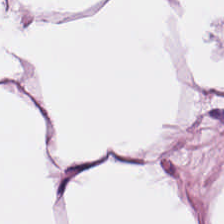Hematoxylin and eosin.
Histology — adipose.
